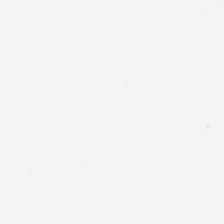H&E-stained tissue section · 0.5 µm per pixel.
Finding → background.
